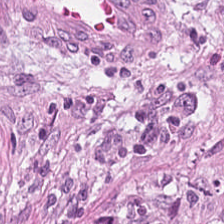Hematoxylin-and-eosin stained section.
The tissue here is cancer-associated stroma.
